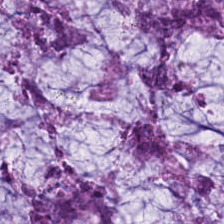Stain: hematoxylin and eosin.
Classification: mucus.
